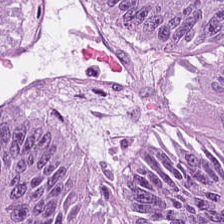WSI patch; 224×224 px tile; hematoxylin and eosin.
Q: Identify the tissue.
A: Colorectal adenocarcinoma epithelium.
